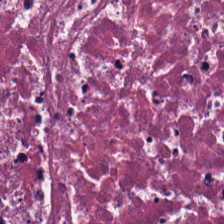H&E stain. Histology — necrotic debris.
